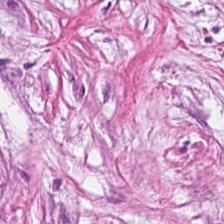H&E-stained tissue section; WSI patch — This patch shows desmoplastic stroma.
